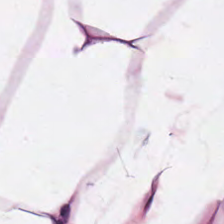H&E-stained tissue section · 224×224 px patch.
This field is adipose.
